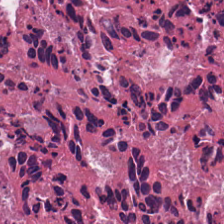H&E stain.
Showing debris.
